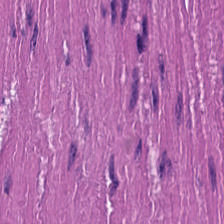Formalin-fixed paraffin-embedded section · H&E-stained tissue section · brightfield — Classification — muscularis.
